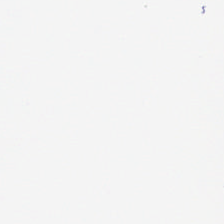H&E; FFPE; brightfield. This field is background (no tissue).
